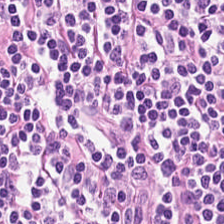Formalin-fixed paraffin-embedded section · hematoxylin and eosin — {"tissue_type": "lymphocytes"}
